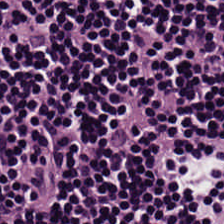H&E — This patch shows lymphocytic infiltrate.
